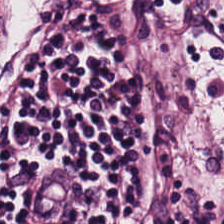Tissue type: lymphocytic infiltrate.
